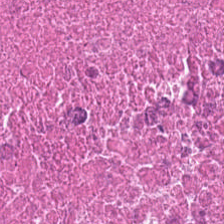H&E stain · 224×224 px tile — The tissue class is cellular debris.
